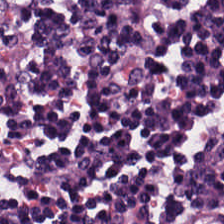H&E-stained tissue section showing lymphoid infiltrate.
